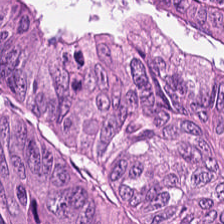Hematoxylin-and-eosin stained section.
Q: What does this patch show?
A: This is adenocarcinoma.
